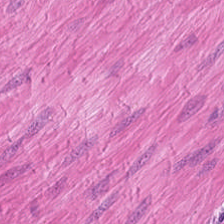H&E stain — Tissue class = muscularis.
